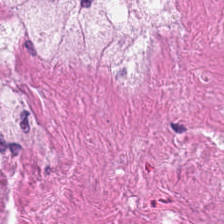20× equivalent magnification; formalin-fixed paraffin-embedded section; hematoxylin and eosin. Impression → cellular debris.
